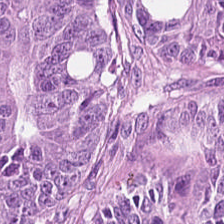Hematoxylin-and-eosin stained section — Tumor epithelium.
